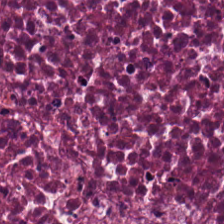H&E-stained tissue section — Cellular debris.
